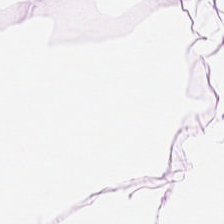Q: What does this patch show?
A: Adipose tissue.
